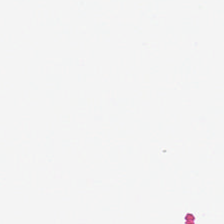Stain: hematoxylin-and-eosin stained section.
Field content: empty background.
